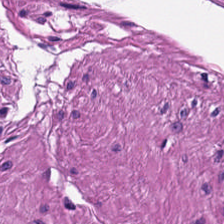H&E-stained tissue section showing muscularis.
